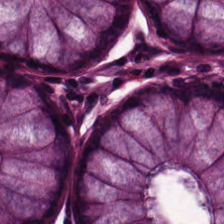H&E stain.
This field is normal colon mucosa.
